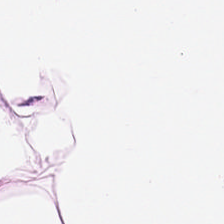H&E-stained tissue section — Impression → adipose.
